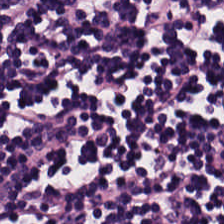The tissue here is lymphocytic infiltrate.
